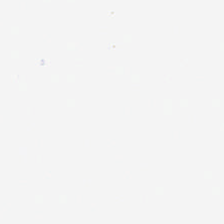Hematoxylin and eosin.
Content — background.
